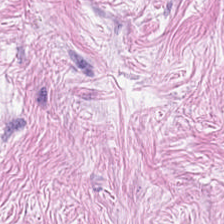H&E — Desmoplastic stroma.
